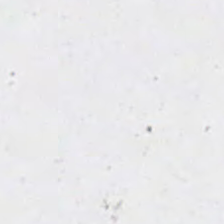Impression — background.
